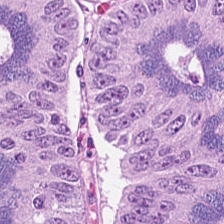224×224 px tile. H&E stain. Malignant epithelium.
